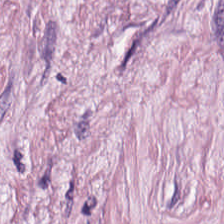FFPE; whole-slide-image patch; hematoxylin-and-eosin stained section. Impression — tumor stroma.
